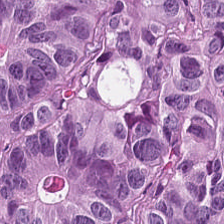Stain: H&E stain.
Acquisition: brightfield.
Predominant tissue: tumor epithelium.
